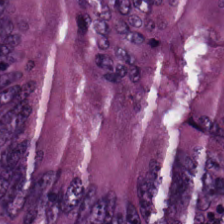H&E · 0.5 µm/px — Showing tumor epithelium.
